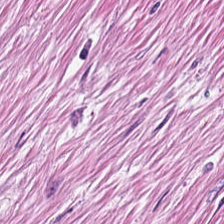0.5 microns per pixel; hematoxylin-and-eosin stained section; formalin-fixed paraffin-embedded section — The tissue here is tumor stroma.
